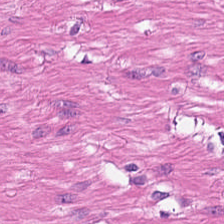20× equivalent magnification. Hematoxylin and eosin. Smooth muscle.
